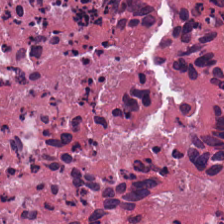Stain: H&E stain.
Tissue type: necrotic debris.
